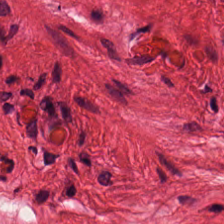Hematoxylin and eosin. Whole-slide-image patch. 224×224 px tile. Q: What is shown in this field?
A: This is smooth muscle.
